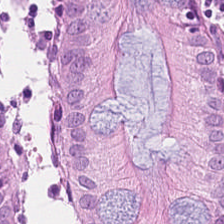Hematoxylin and eosin — Q: What is shown in this field?
A: Non-neoplastic colon mucosa.
